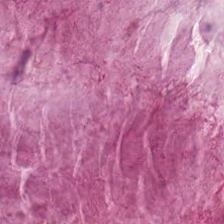0.5 µm per pixel · H&E stain — Predominantly extracellular mucin.
